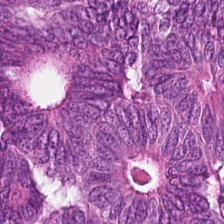Formalin-fixed paraffin-embedded section. H&E stain. Q: What does this patch show?
A: This is adenocarcinoma.
